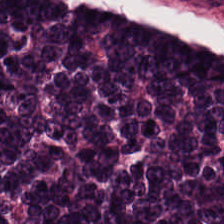Classification: colorectal adenocarcinoma epithelium.
